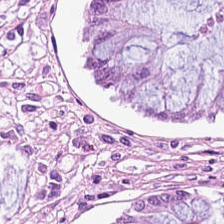Hematoxylin-and-eosin stained section; 20× equivalent magnification. Tissue type — normal colonic mucosa.
